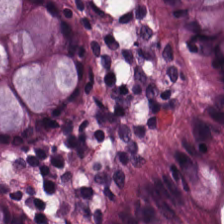H&E stain.
Impression — normal colon mucosa.
